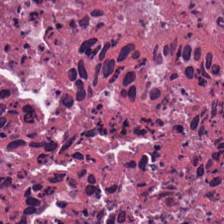H&E-stained tissue section. Predominantly debris.
